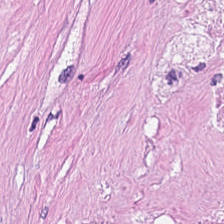Impression → debris.
